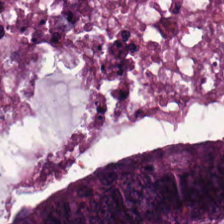Hematoxylin and eosin.
This field is tumor epithelium.
